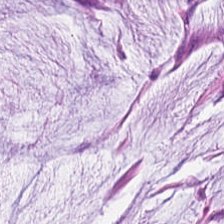0.5 µm per pixel; formalin-fixed paraffin-embedded section; hematoxylin-and-eosin stained section. Predominant tissue = mucus.
